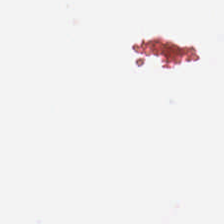H&E stain — Content: background.
